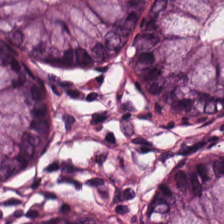H&E-stained tissue section.
Showing normal colon mucosa.
